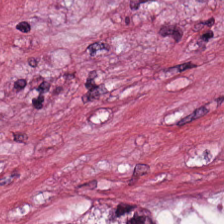Finding → tumor-associated stroma.
